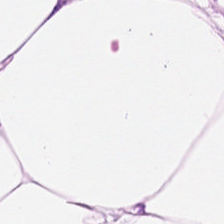Hematoxylin and eosin — Adipocytes.
